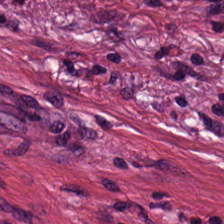Hematoxylin-and-eosin stained section · 224×224 pixel tile.
The predominant tissue is tumor stroma.
